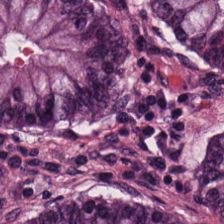224×224 px patch · hematoxylin-and-eosin stained section · 0.5 microns per pixel — Finding → normal colonic mucosa.
